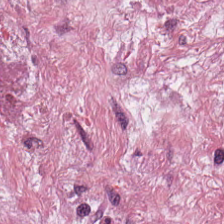Hematoxylin-and-eosin stained section.
This field is desmoplastic stroma.
